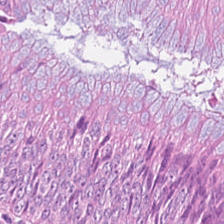H&E. Formalin-fixed paraffin-embedded section. The predominant tissue is colorectal adenocarcinoma epithelium.
